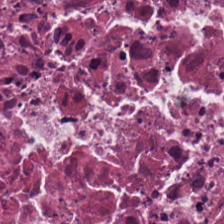Stain: hematoxylin-and-eosin stained section.
Resolution: 0.5 µm/px.
Tissue class: debris.
